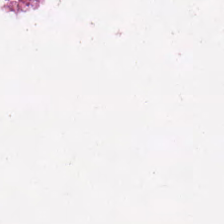0.5 µm per pixel; H&E stain; brightfield. This field is cellular debris.
